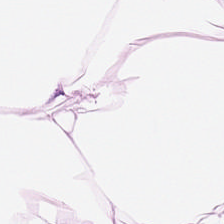224×224 pixel tile · hematoxylin-and-eosin stained section · 0.5 µm per pixel.
Q: What tissue type is shown here?
A: This is adipose tissue.
